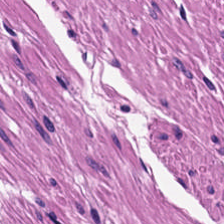Brightfield microscopy · 224×224 px patch · hematoxylin-and-eosin stained section. This field is smooth-muscle tissue.
